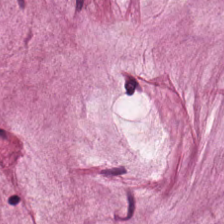H&E; WSI patch; FFPE.
Q: What type of tissue is this?
A: The field shows extracellular mucin.
